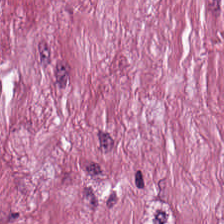H&E stain — Q: What type of tissue is this?
A: This is tumor-associated stroma.
